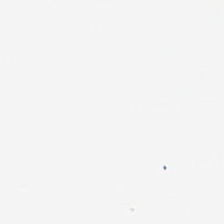Hematoxylin and eosin. Finding — empty background.
